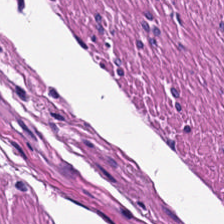H&E stain. Tissue = smooth muscle.
